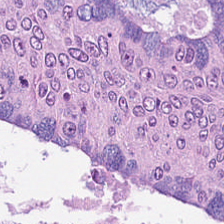Stain: H&E-stained tissue section.
Tissue: adenocarcinoma.
